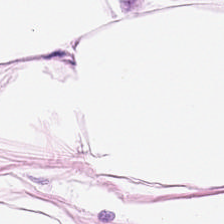Hematoxylin-and-eosin stained section.
Fat tissue.
